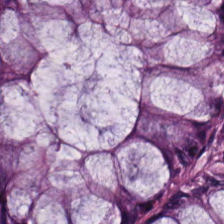Q: What is shown here?
A: The field shows normal colon mucosa.
